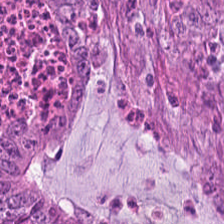Hematoxylin-and-eosin stained section — This patch shows adenocarcinoma.
